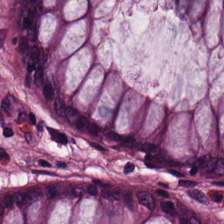Impression → normal colon mucosa.
